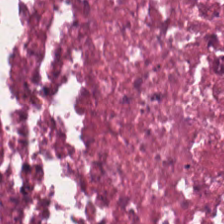Hematoxylin-and-eosin stained section; FFPE tissue section — Tissue: cellular debris.
